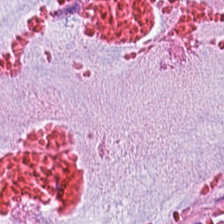Brightfield microscopy · 0.5 microns per pixel · H&E stain. Showing mucus.
